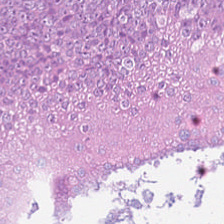H&E. Q: What type of tissue is this?
A: The field shows malignant epithelium.
